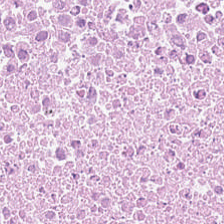H&E stain. Predominant tissue = necrotic debris.
